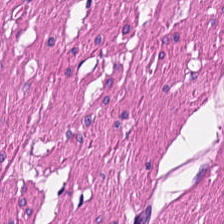Q: What is shown in this field?
A: Muscularis.
